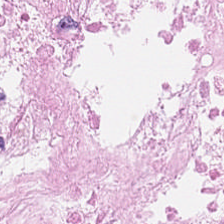224×224 px tile. H&E-stained tissue section. Brightfield microscopy — The tissue is necrotic debris.
